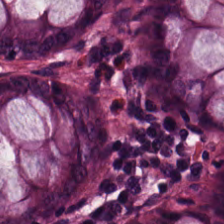Impression — normal colonic mucosa.
